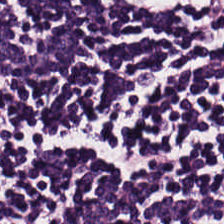224×224 px tile; H&E-stained tissue section — Showing lymphocytes.
